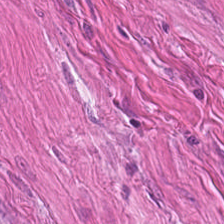Formalin-fixed paraffin-embedded section. 224×224 px patch. Hematoxylin and eosin.
Showing smooth muscle.
